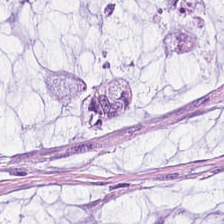H&E. Formalin-fixed paraffin-embedded section — Tissue type — mucus.
